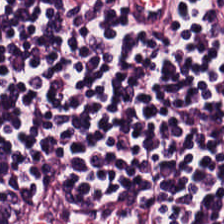H&E — lymphocytes.
